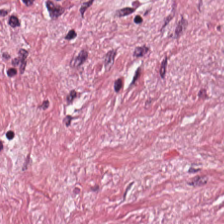Hematoxylin and eosin — Histology → desmoplastic stroma.
